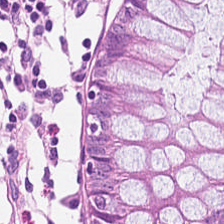0.5 microns per pixel. Hematoxylin and eosin.
This patch shows normal colon mucosa.
